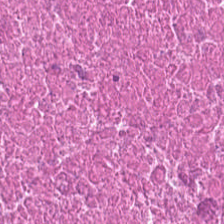H&E stain. Q: What does this patch show?
A: This is debris.
